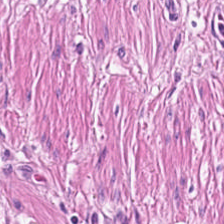H&E stain — Predominantly smooth muscle.
